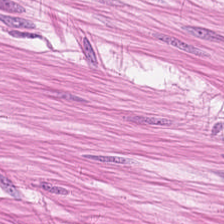Stain: hematoxylin-and-eosin stained section.
Tissue type: smooth muscle.
